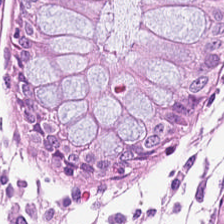Hematoxylin and eosin. Histology → normal colon mucosa.
